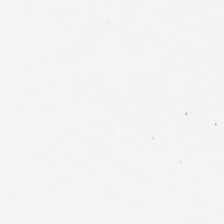Stain: H&E stain.
Preparation: FFPE tissue section.
Content: background (no tissue).
